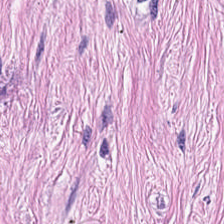Hematoxylin and eosin — Q: What is shown in this field?
A: It is tumor stroma.
